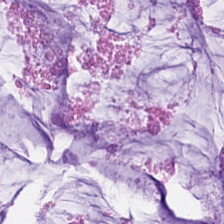Hematoxylin and eosin.
The predominant tissue is mucin.
